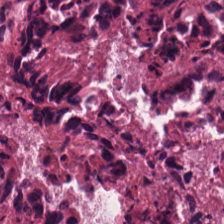FFPE · H&E stain.
The classification is debris.
